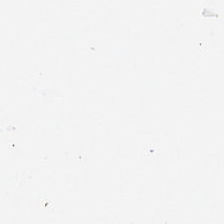This field is background (no tissue).
